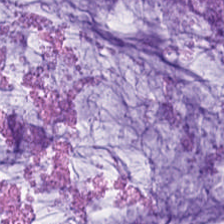Stain: H&E.
Resolution: 0.5 µm per pixel.
Acquisition: whole-slide-image patch.
Classification: mucin.
